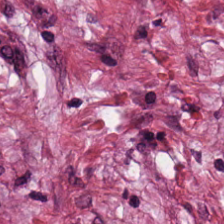Q: What is shown in this field?
A: The field shows desmoplastic stroma.
